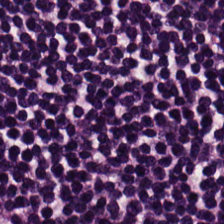20× equivalent magnification · hematoxylin and eosin. Predominant tissue — lymphocytic infiltrate.
